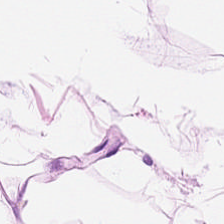H&E. Q: What tissue type is shown here?
A: Adipose.
